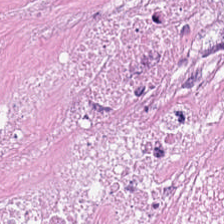Hematoxylin and eosin — This patch shows cellular debris.
